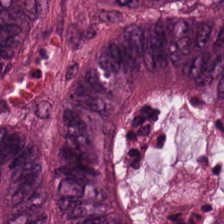224×224 px tile. 0.5 µm/px. Hematoxylin and eosin.
The predominant tissue is adenocarcinoma.
